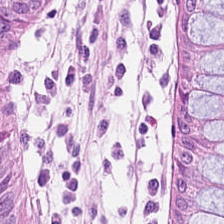H&E stain. This patch shows normal colon mucosa.
